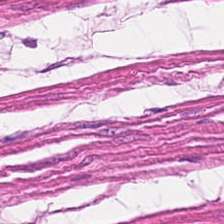Hematoxylin-and-eosin stained section · brightfield. Predominantly smooth muscle.
